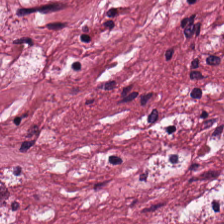H&E stain · WSI patch.
The tissue here is tumor-associated stroma.
